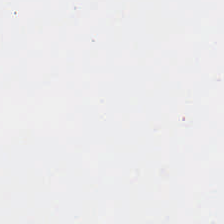Stain: H&E stain.
Field content: empty background.
